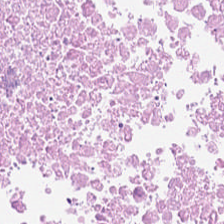H&E stain; 224×224 px tile.
Classification — necrotic debris.
